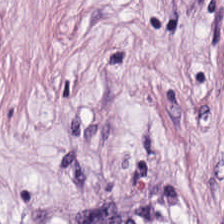Finding → desmoplastic stroma.
